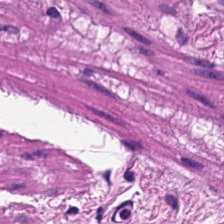Brightfield · FFPE · H&E stain.
Q: What type of tissue is this?
A: It is smooth-muscle tissue.
